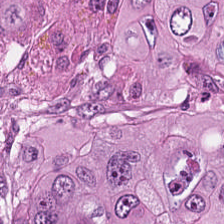Whole-slide-image patch · hematoxylin-and-eosin stained section. Q: What tissue type is shown here?
A: This is tumor epithelium.
